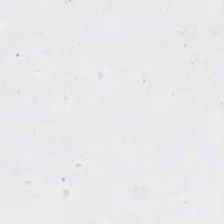H&E stain. Background.
